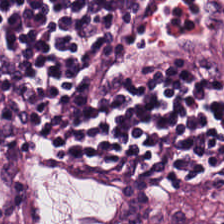Formalin-fixed paraffin-embedded section · H&E-stained tissue section · 224×224 px patch — Q: Identify the tissue.
A: This is lymphoid infiltrate.
